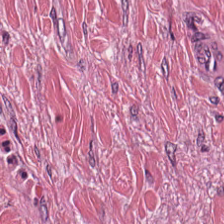FFPE tissue section · hematoxylin-and-eosin stained section — The tissue here is tumor stroma.
